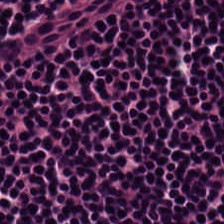H&E.
This patch shows lymphocyte aggregate.
